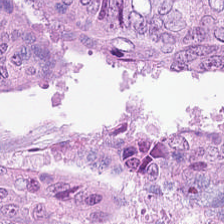Q: What tissue type is shown here?
A: It is colorectal adenocarcinoma.
